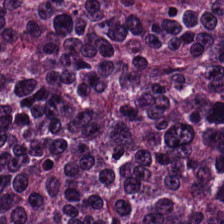Finding — adenocarcinoma.
